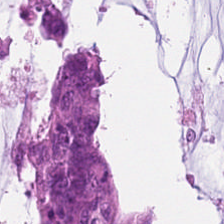H&E-stained tissue section.
The classification is mucin.
